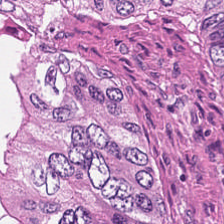H&E stain. 224×224 px patch. 20× equivalent magnification.
The predominant tissue is debris.
